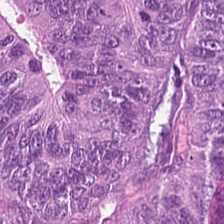H&E stain.
Classification: colorectal adenocarcinoma epithelium.
